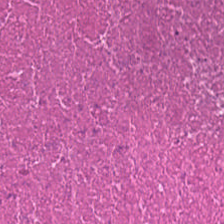The predominant tissue is debris.
